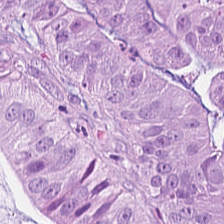Whole-slide-image patch. H&E-stained tissue section. 0.5 µm per pixel. Q: What type of tissue is this?
A: It is colorectal adenocarcinoma.
